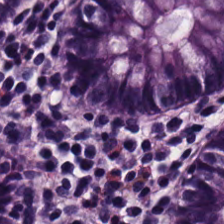Brightfield; hematoxylin and eosin.
The classification is benign colonic mucosa.
